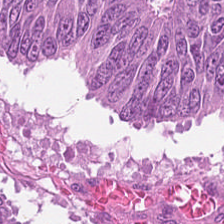Stain: H&E.
Classification: colorectal adenocarcinoma.
